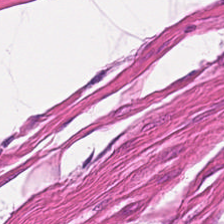H&E stain — This field is smooth muscle.
